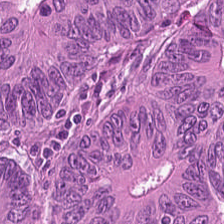H&E-stained tissue section · 224×224 px patch · 0.5 µm per pixel — Tissue class — colorectal adenocarcinoma epithelium.
